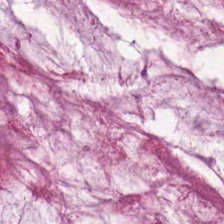Q: What is shown in this field?
A: The field shows extracellular mucin.
